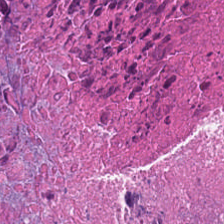H&E-stained section; the field shows debris.
